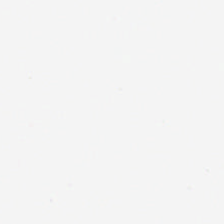Histology → background.
